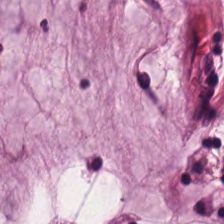Hematoxylin-and-eosin stained section. Q: What type of tissue is this?
A: It is mucin.
